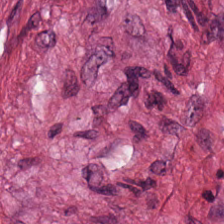H&E — Histology → cancer-associated stroma.
